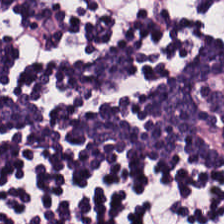Stain: H&E stain.
Preparation: formalin-fixed paraffin-embedded section.
Tissue type: lymphocyte aggregate.
